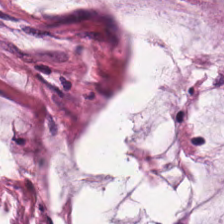Tissue type: extracellular mucin.
